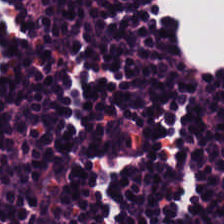0.5 microns per pixel · H&E stain — The tissue here is lymphocytic infiltrate.
